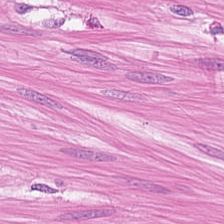Brightfield; H&E-stained tissue section; 20× equivalent magnification.
Q: What is shown here?
A: This is smooth muscle.
